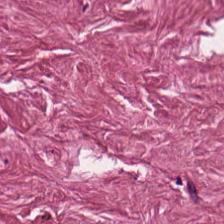Showing tumor-associated stroma.
